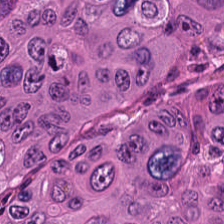0.5 µm per pixel; 224×224 px patch; H&E. Q: What is shown in this field?
A: This is colorectal adenocarcinoma.
